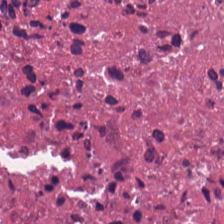Stain: H&E-stained tissue section.
Preparation: FFPE tissue section.
Resolution: 0.5 microns per pixel.
Predominant tissue: debris.
